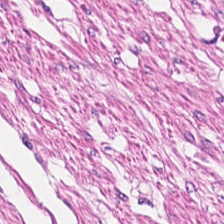Hematoxylin and eosin — The predominant tissue is smooth muscle.
